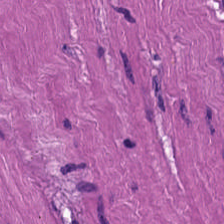H&E · 224×224 pixel tile · 0.5 µm/px. Tissue = smooth muscle.
